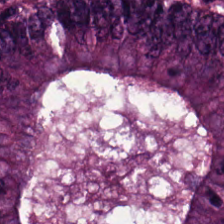H&E; brightfield microscopy — Classification: adenocarcinoma.
